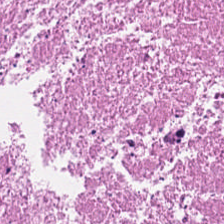H&E-stained tissue section — The tissue here is cellular debris.
